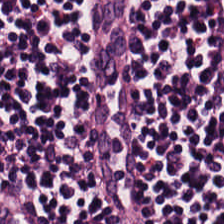H&E.
Q: What tissue type is shown here?
A: Lymphocyte aggregate.
